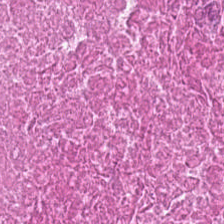H&E stain. WSI patch. Showing debris.
